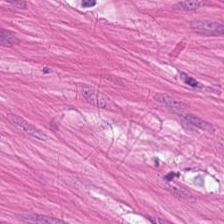H&E stain. Q: What type of tissue is this?
A: The field shows smooth muscle.
